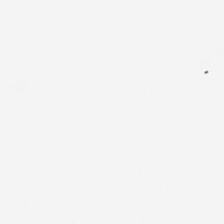Brightfield. H&E.
Background (no tissue).
